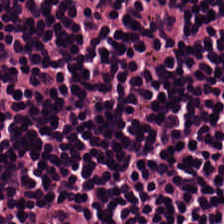Tissue class: lymphoid infiltrate.
